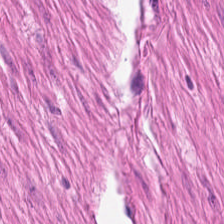Hematoxylin-and-eosin stained section. WSI patch. FFPE — The predominant tissue is muscularis.
